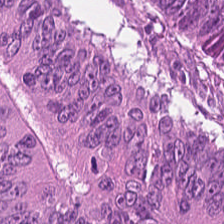Stain: H&E-stained tissue section.
Predominant tissue: tumor epithelium.
